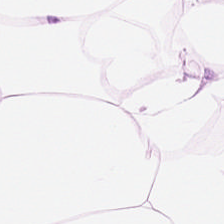Stain: H&E.
Tissue type: adipocytes.
